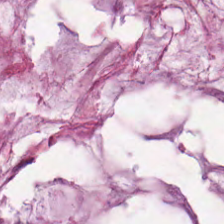Hematoxylin and eosin.
Q: Identify the tissue.
A: The field shows mucin.
